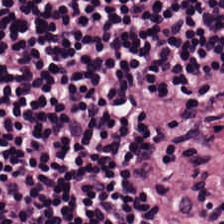H&E stain. Impression — lymphocytic infiltrate.
